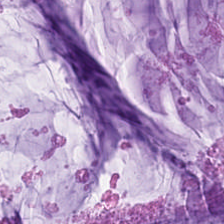Stain: hematoxylin and eosin.
Classification: mucin.
